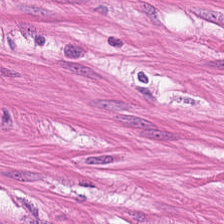Stain: hematoxylin-and-eosin stained section.
Tissue: smooth-muscle tissue.
